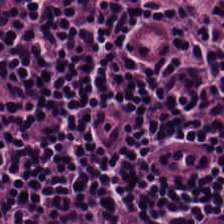Hematoxylin-and-eosin stained section.
The predominant tissue is lymphocyte aggregate.
